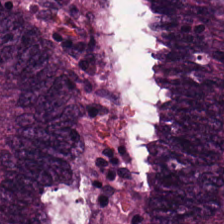224×224 px tile. H&E. Classification: malignant epithelium.
